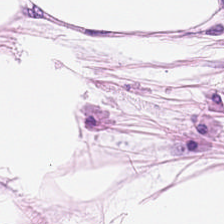H&E stain; 0.5 µm/px. Predominantly adipose tissue.
